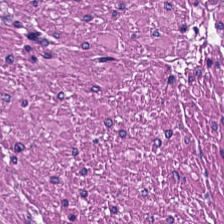Hematoxylin-and-eosin stained section. 0.5 µm per pixel.
Tissue type: muscularis.
